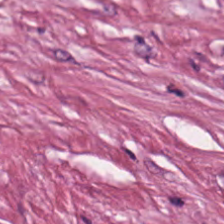H&E-stained tissue section. Showing tumor stroma.
